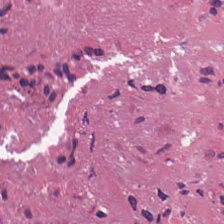Hematoxylin and eosin.
The tissue here is cellular debris.
